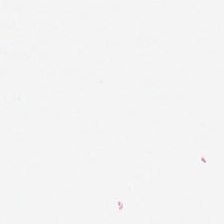H&E. Background.
